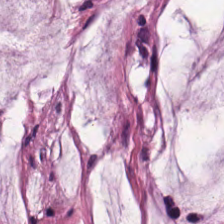FFPE tissue section. Hematoxylin-and-eosin stained section. 224×224 px tile. Impression → mucus.
